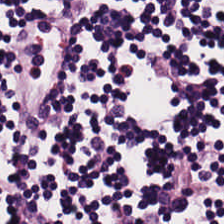H&E — lymphocytes.
